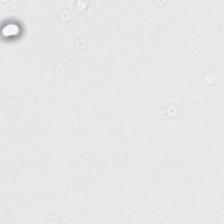Background (no tissue).
